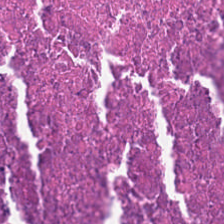H&E — necrotic debris.
